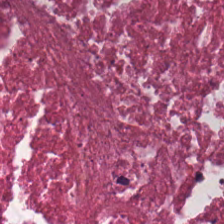Tissue — cellular debris.
